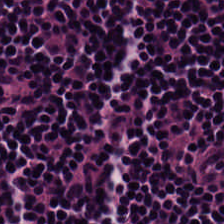This field is lymphocyte aggregate.
